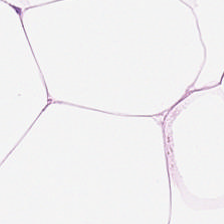H&E stain · 224×224 px tile. Finding → adipose tissue.
